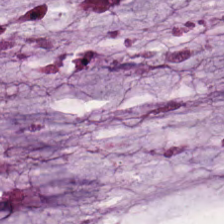The tissue class is extracellular mucin.
